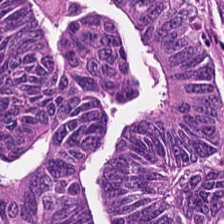Stain: H&E-stained tissue section.
Predominant tissue: adenocarcinoma.
